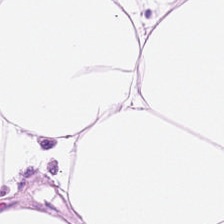Hematoxylin-and-eosin stained section.
Predominantly adipocytes.
